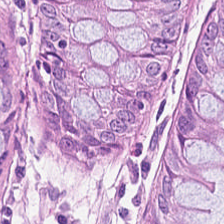Brightfield. Hematoxylin-and-eosin stained section.
The classification is normal colonic mucosa.
